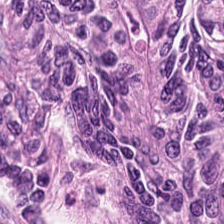Stain: H&E.
Preparation: FFPE tissue section.
Predominant tissue: tumor epithelium.
